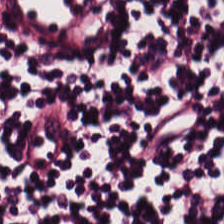H&E-stained tissue section.
The tissue here is lymphocytes.
